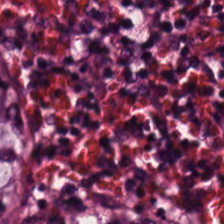This patch shows benign colonic mucosa.
